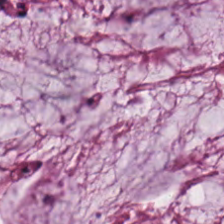Classification — mucin.
